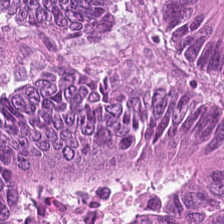Hematoxylin-and-eosin stained section; FFPE. Tumor epithelium.
